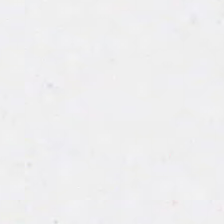This patch shows empty background.
